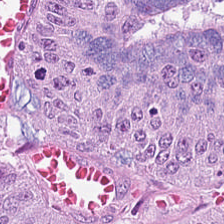Stain: H&E stain.
Classification: colorectal adenocarcinoma.
